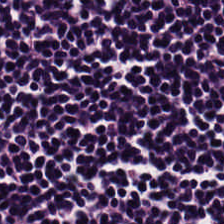Hematoxylin and eosin — Predominantly lymphoid infiltrate.
